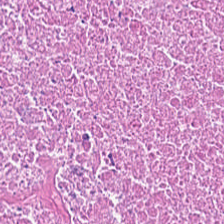WSI patch. 0.5 microns per pixel. Hematoxylin and eosin. Tissue type: cellular debris.
